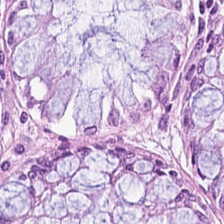Tissue class = normal colonic mucosa.
